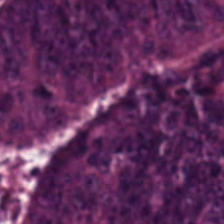Stain: H&E stain.
Tissue: adenocarcinoma.
